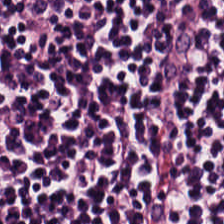This field is lymphocytes.
